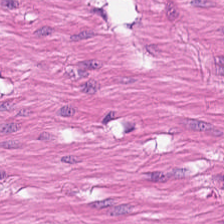H&E-stained tissue section showing smooth muscle.
